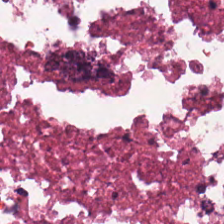H&E-stained tissue section showing cellular debris.
